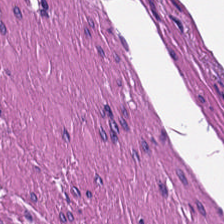Predominantly smooth-muscle tissue.
